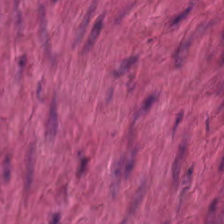224×224 pixel tile; hematoxylin and eosin. The predominant tissue is smooth muscle.
